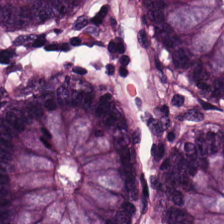WSI patch. H&E. Formalin-fixed paraffin-embedded section — Showing benign colonic mucosa.
